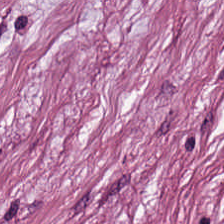Stain: H&E-stained tissue section.
Predominant tissue: desmoplastic stroma.
